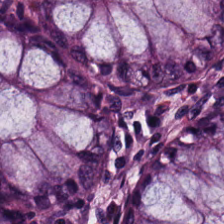Stain: H&E stain.
Classification: non-neoplastic colon mucosa.
